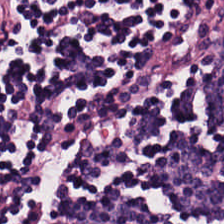224×224 px patch; H&E; FFPE — This field is lymphocyte aggregate.
